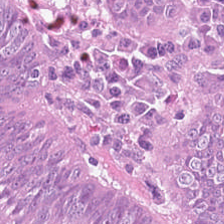FFPE; H&E-stained tissue section; 224×224 px tile. Tissue class — tumor epithelium.
